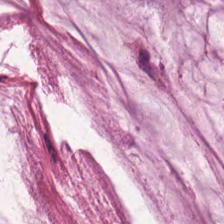Mucin.
